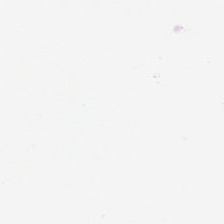0.5 µm per pixel; hematoxylin and eosin.
Content: no tissue.
